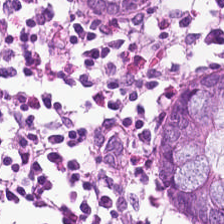Showing non-neoplastic colon mucosa.
